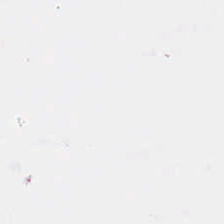H&E stain. Q: What does this patch show?
A: The field shows empty background.
